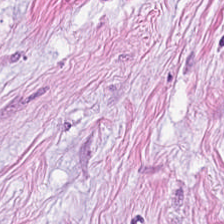Q: What tissue type is shown here?
A: This is tumor stroma.
